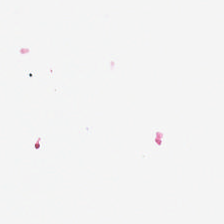H&E stain. 224×224 px tile. Whole-slide-image patch.
Finding → background (no tissue).
